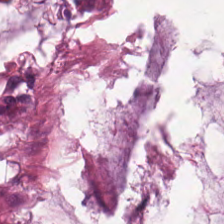Q: Identify the tissue.
A: The field shows mucus.
